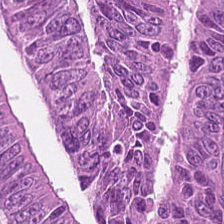Showing colorectal adenocarcinoma epithelium.
